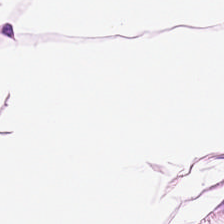Hematoxylin and eosin.
Finding — adipose.
